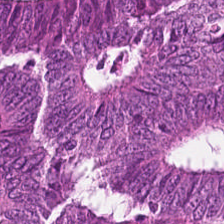H&E. 224×224 pixel tile.
This patch shows colorectal adenocarcinoma.
